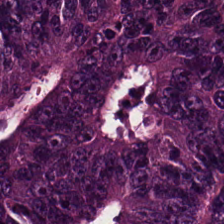H&E. Showing tumor epithelium.
